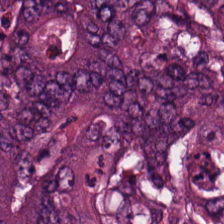Hematoxylin and eosin.
Finding — colorectal adenocarcinoma.
